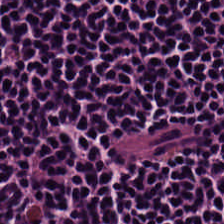Stain: H&E-stained tissue section.
Preparation: FFPE tissue section.
Tissue type: lymphocytes.
